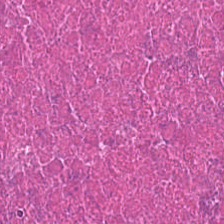{"tissue_type": "cellular debris"}
